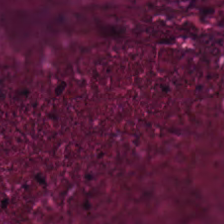Hematoxylin-and-eosin stained section — Finding → cellular debris.
